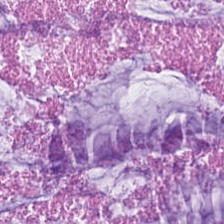H&E stain — Q: What tissue is shown?
A: Mucin.
